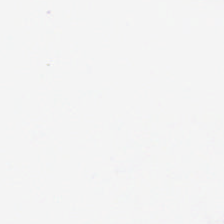Stain: hematoxylin-and-eosin stained section.
Preparation: FFPE tissue section.
Field content: background (no tissue).
